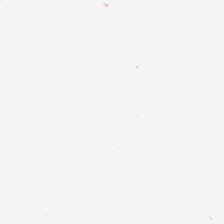H&E-stained tissue section.
No tissue present; background only.
